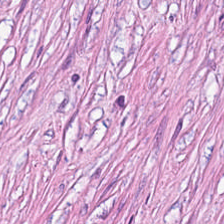Hematoxylin-and-eosin stained section. Finding → desmoplastic stroma.
